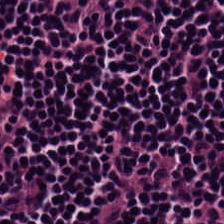Hematoxylin and eosin.
The tissue here is lymphocytes.
